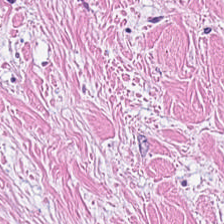H&E.
Finding → tumor stroma.
